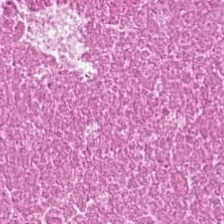Hematoxylin and eosin — Tissue class — cellular debris.
